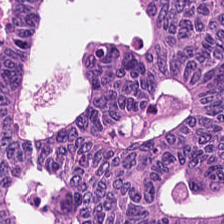Tissue — tumor epithelium.
